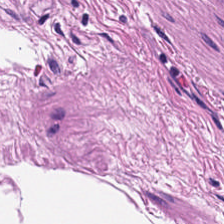H&E-stained tissue section; FFPE. This field is muscularis.
